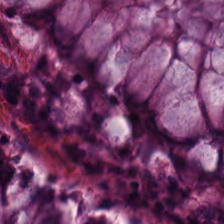0.5 microns per pixel; hematoxylin and eosin; 224×224 px patch.
{"tissue_type": "benign colonic mucosa"}
